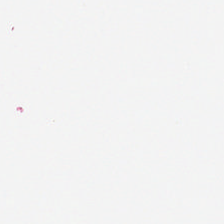Hematoxylin-and-eosin stained section · 224×224 px tile · 0.5 µm/px. This patch shows no tissue.
